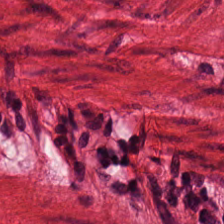The tissue is smooth muscle.
